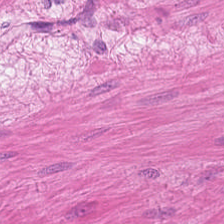H&E-stained tissue section. Smooth-muscle tissue.
